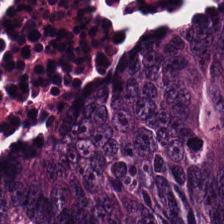WSI patch · 20× equivalent magnification · hematoxylin-and-eosin stained section. This patch shows colorectal adenocarcinoma.
